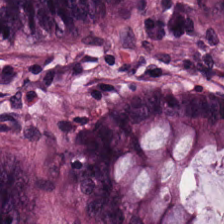H&E-stained tissue section. Tissue class: normal colonic mucosa.
